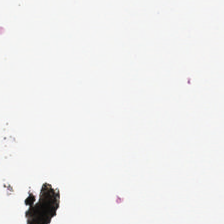Hematoxylin and eosin — Field content — background (no tissue).
